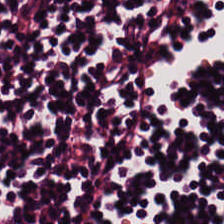Stain: hematoxylin-and-eosin stained section.
Preparation: formalin-fixed paraffin-embedded section.
Classification: lymphocytic infiltrate.
